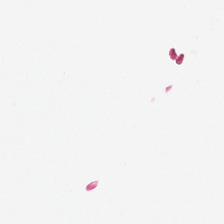Classification = background.
